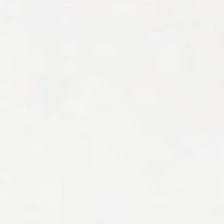Background — no tissue in this field.
